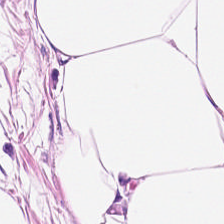H&E stain. This patch shows fat tissue.
